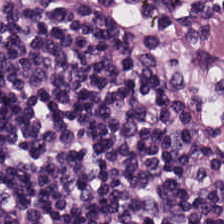H&E-stained tissue section showing lymphocyte aggregate.
